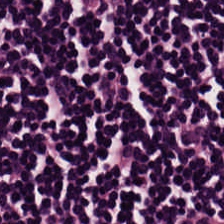Stain: H&E-stained tissue section.
Tile size: 224×224 px tile.
Preparation: formalin-fixed paraffin-embedded section.
Predominant tissue: lymphocyte aggregate.
